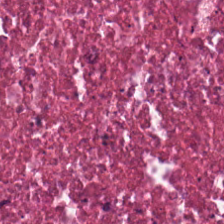The tissue class is cellular debris.
